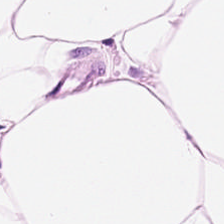Stain: H&E.
Classification: adipocytes.
